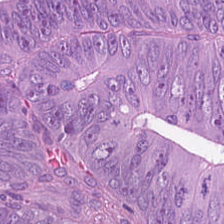Q: What is shown here?
A: This is colorectal adenocarcinoma.
